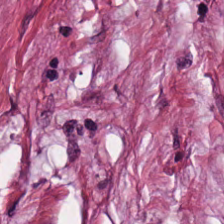Predominantly tumor stroma.
